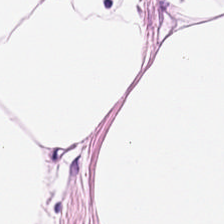Whole-slide-image patch; H&E; 224×224 px tile.
{"tissue_type": "fat tissue"}
